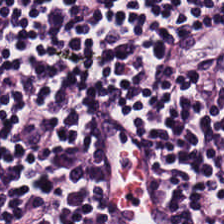Classification: lymphocytic infiltrate.
